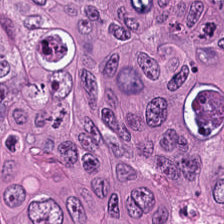224×224 px patch; hematoxylin and eosin; whole-slide-image patch — The predominant tissue is malignant epithelium.
